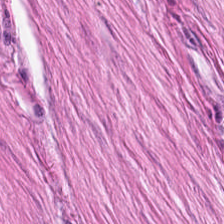Stain: H&E stain.
Tissue class: muscularis.
